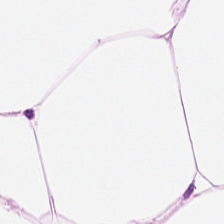Hematoxylin-and-eosin section: adipose tissue.
